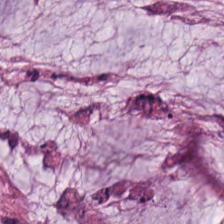H&E stain. Q: What is shown in this field?
A: It is extracellular mucin.
